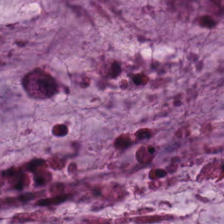Q: What tissue type is shown here?
A: This is mucus.
